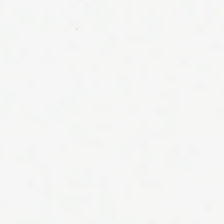H&E-stained tissue section · 224×224 pixel tile. Q: Classify this patch.
A: This is empty background.
